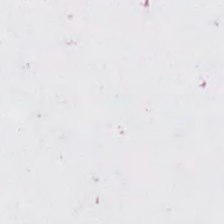H&E-stained tissue section · 224×224 pixel tile.
{"content": "no tissue"}
